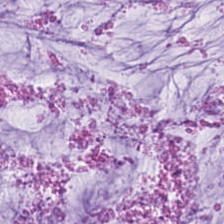0.5 µm/px. H&E stain.
Tissue = mucus.
